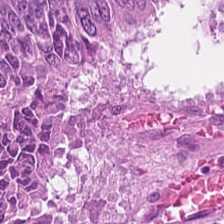WSI patch. 224×224 px patch. H&E.
Predominant tissue — adenocarcinoma.
